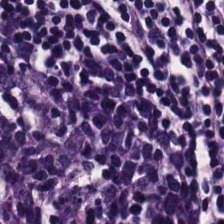Predominant tissue — lymphoid infiltrate.
